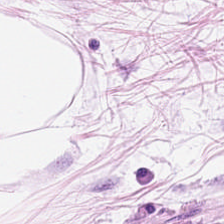224×224 px patch; H&E.
This patch shows adipose.
